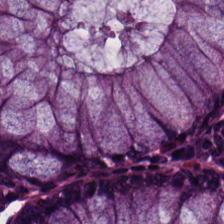The tissue is normal colon mucosa.
